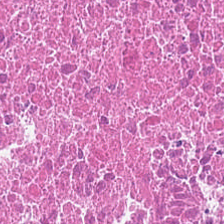Brightfield microscopy · H&E stain.
The tissue type is debris.
